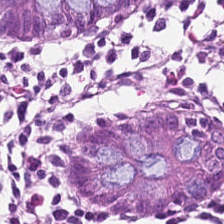WSI patch. Hematoxylin and eosin. 0.5 µm/px — Predominant tissue = benign colonic mucosa.
